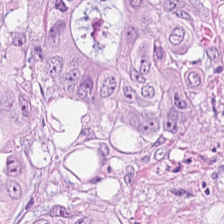H&E-stained tissue section. {"tissue_type": "colorectal adenocarcinoma"}
